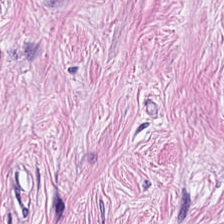Stain: H&E-stained tissue section.
Acquisition: brightfield.
Preparation: FFPE.
Tissue type: tumor-associated stroma.
